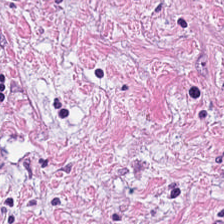H&E stain. Impression — desmoplastic stroma.
